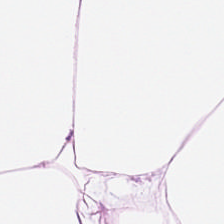H&E patch showing fat tissue.
